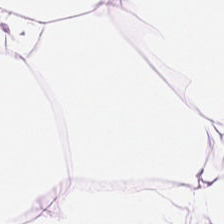Q: Identify the tissue.
A: Fat tissue.
